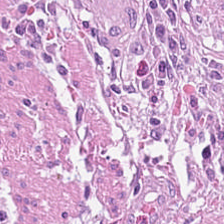The tissue here is tumor stroma.
